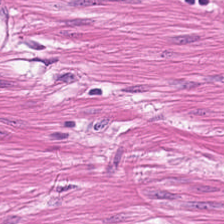Hematoxylin-and-eosin stained section — The predominant tissue is smooth muscle.
